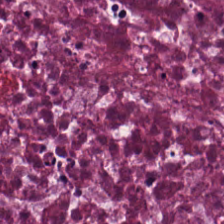Necrotic debris.
